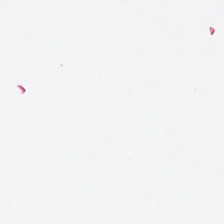H&E stain. Formalin-fixed paraffin-embedded section. No tissue present; background only.
